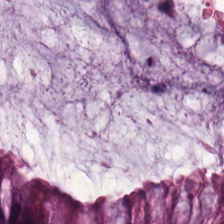Predominant tissue: benign colonic mucosa.
